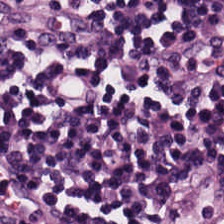The tissue type is lymphocytes.
